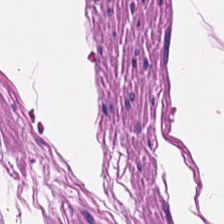H&E-stained tissue section — Showing smooth muscle.
